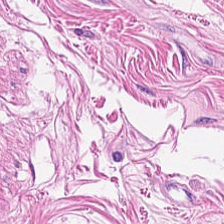Stain: H&E stain.
Tissue type: smooth muscle.
